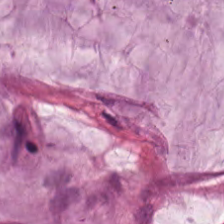Hematoxylin and eosin; 0.5 microns per pixel; 224×224 px tile. Tissue type: mucus.
